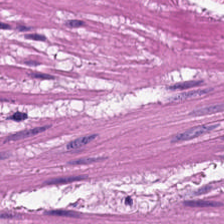Brightfield · hematoxylin-and-eosin stained section.
Predominantly muscularis.
